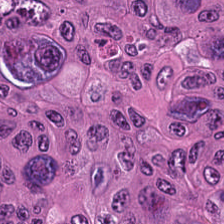Stain: hematoxylin and eosin.
Tile size: 224×224 px patch.
Predominant tissue: malignant epithelium.
